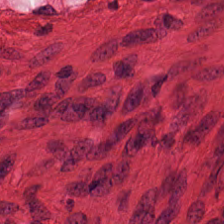Hematoxylin and eosin; 224×224 px patch; 0.5 µm/px. Finding → smooth muscle.
